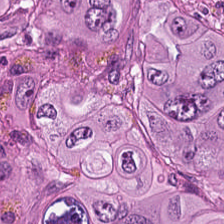Stain: H&E.
Tissue type: colorectal adenocarcinoma epithelium.
